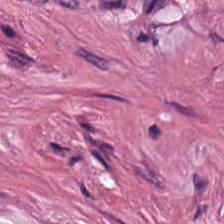H&E. {"tissue_type": "tumor-associated stroma"}
